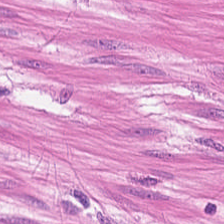This patch shows muscularis.
